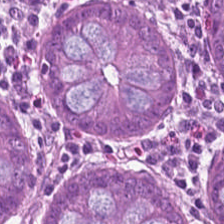Stain: H&E.
Predominant tissue: non-neoplastic colon mucosa.
